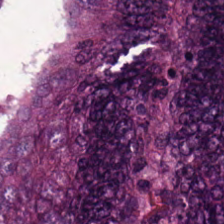Stain: hematoxylin-and-eosin stained section.
Classification: colorectal adenocarcinoma epithelium.
